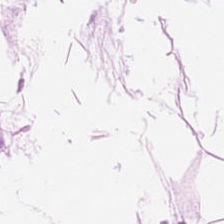H&E-stained section; the field shows adipose tissue.
